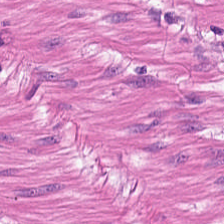Tissue: muscularis.
